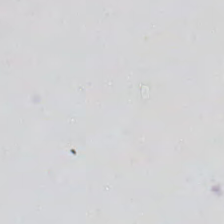224×224 pixel tile; hematoxylin and eosin.
{"content": "no tissue"}
